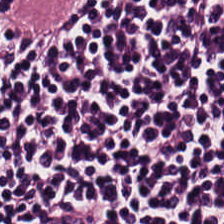Finding → lymphocytic infiltrate.
